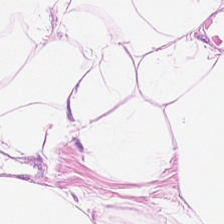H&E-stained tissue section — Predominantly adipose tissue.
